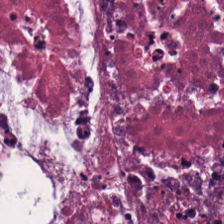Hematoxylin-and-eosin stained section. 224×224 px tile — The tissue here is cellular debris.
